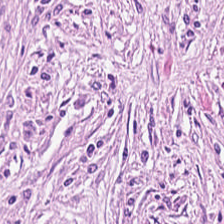Hematoxylin-and-eosin stained section · 0.5 µm/px. Tissue = tumor stroma.
